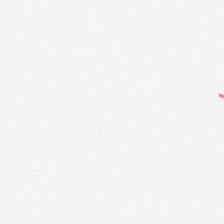Hematoxylin and eosin — Q: What is shown here?
A: The field shows empty background.
